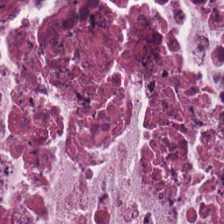0.5 microns per pixel; H&E stain; FFPE — Impression → necrotic debris.
